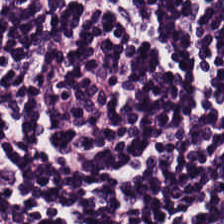H&E-stained tissue section. Finding — lymphocyte aggregate.
